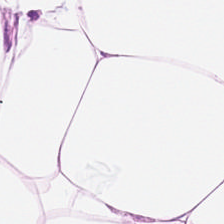H&E. Brightfield microscopy.
Classification — adipose.
